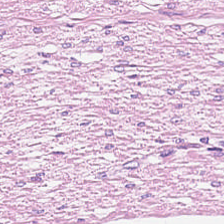Stain: H&E.
Predominant tissue: smooth-muscle tissue.
